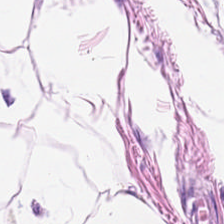Impression — adipose.
